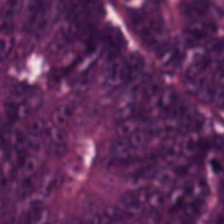H&E stain — Tissue class: colorectal adenocarcinoma.
